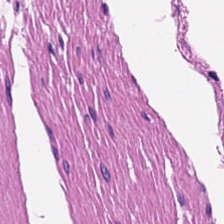Hematoxylin-and-eosin stained section; 0.5 microns per pixel. This field is muscularis.
